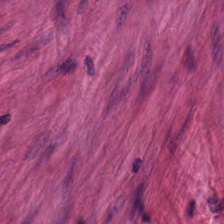Q: What is the predominant tissue type?
A: This is muscularis.
